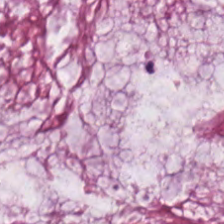Hematoxylin-and-eosin section: mucus.
